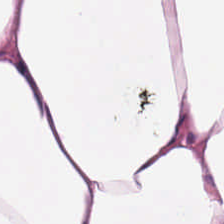FFPE. 0.5 µm per pixel. Hematoxylin and eosin. {"tissue_type": "adipose tissue"}
